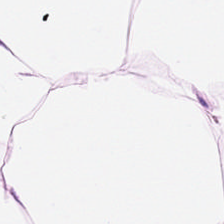Hematoxylin-and-eosin stained section. Whole-slide-image patch. Tissue type — adipose tissue.
